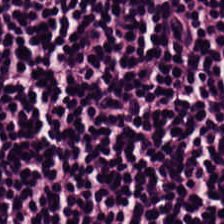H&E stain.
Predominantly lymphocytic infiltrate.
